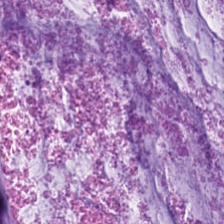{"tissue_type": "mucin"}
